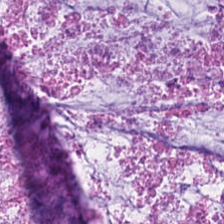Formalin-fixed paraffin-embedded section. H&E stain. Brightfield.
Histology → mucus.
